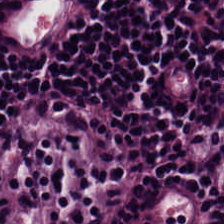Hematoxylin and eosin — Tissue class: lymphocytes.
